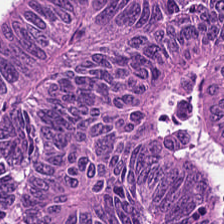H&E-stained tissue section.
The predominant tissue is colorectal adenocarcinoma epithelium.
